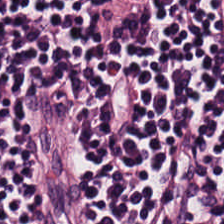{"tissue_type": "lymphocytes"}
